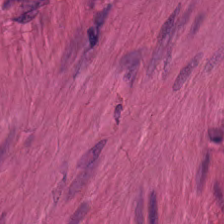224×224 pixel tile · H&E-stained tissue section — Impression — smooth-muscle tissue.
